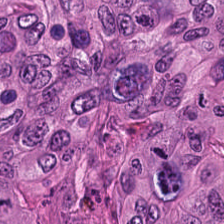Colorectal adenocarcinoma epithelium.
